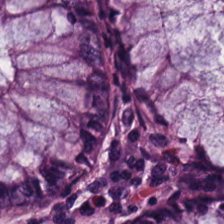Stain: hematoxylin-and-eosin stained section.
Tissue: benign colonic mucosa.
